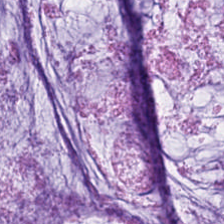H&E — Histology — mucin.
